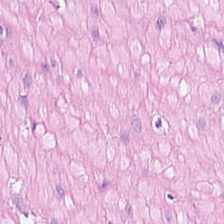The tissue here is smooth muscle.
